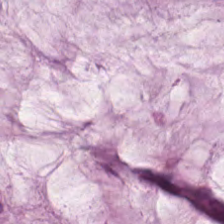H&E stain · 20× equivalent magnification.
{"tissue_type": "mucus"}
